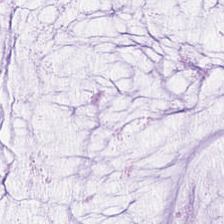H&E — The tissue is mucin.
